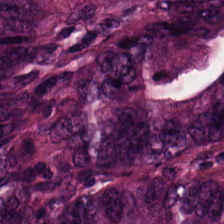This field is malignant epithelium.
